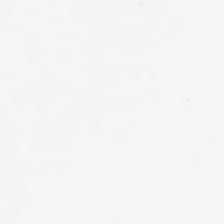H&E-stained tissue section. Content: empty background.
